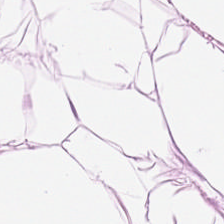H&E — adipose.
